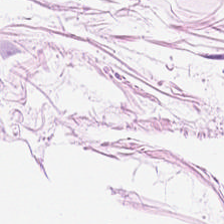Q: What is shown here?
A: It is fat tissue.
